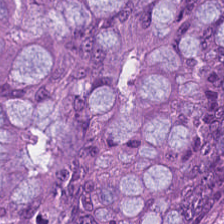Stain: H&E-stained tissue section.
Acquisition: brightfield.
Classification: colorectal adenocarcinoma epithelium.
